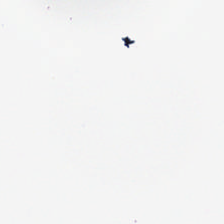Stain: H&E-stained tissue section.
Acquisition: whole-slide-image patch.
Field content: empty background.
